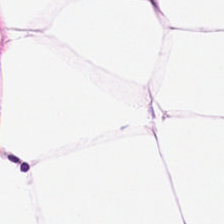H&E. The predominant tissue is adipose.
